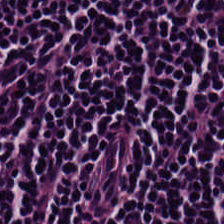Impression — lymphocytes.
